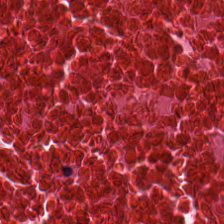Hematoxylin-and-eosin stained section; 224×224 pixel tile. Predominant tissue = cellular debris.
